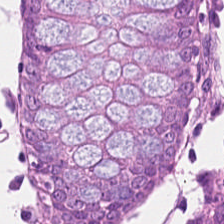H&E-stained tissue section.
The tissue here is benign colonic mucosa.
